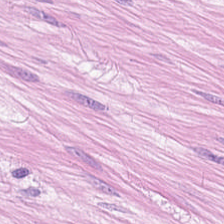Hematoxylin-and-eosin stained section. 224×224 px tile. 0.5 µm per pixel — Tissue class — smooth muscle.
